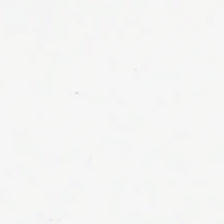H&E-stained tissue section. 224×224 px tile.
Q: What is shown here?
A: This is background.
